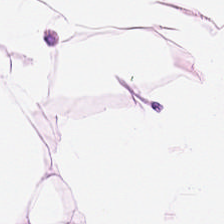0.5 microns per pixel. Hematoxylin-and-eosin stained section — Finding → adipocytes.
